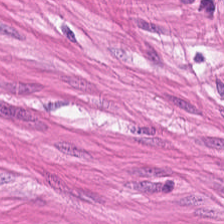Hematoxylin-and-eosin stained section.
Predominant tissue = muscularis.
